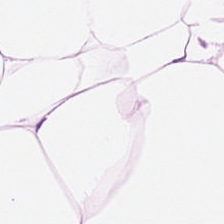Formalin-fixed paraffin-embedded section · H&E. This patch shows fat tissue.
